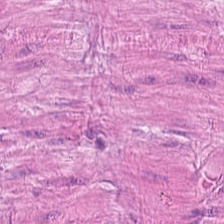{"tissue_type": "smooth muscle"}
